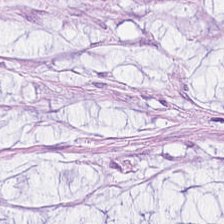H&E. FFPE tissue section. Tissue: mucus.
